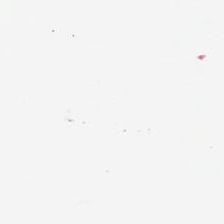0.5 microns per pixel. Hematoxylin and eosin. Q: What is shown here?
A: This is background.
